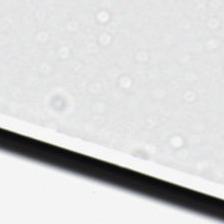Classification — empty background.
